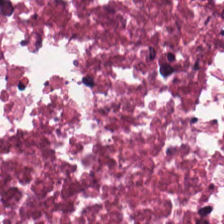Hematoxylin-and-eosin stained section. Impression — cellular debris.
